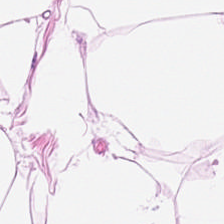FFPE · WSI patch · H&E-stained tissue section — Classification: adipose.
